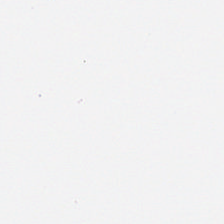FFPE tissue section. Hematoxylin-and-eosin stained section.
The content is empty background.
